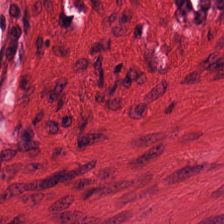Hematoxylin-and-eosin stained section; 224×224 pixel tile — Classification: smooth muscle.
